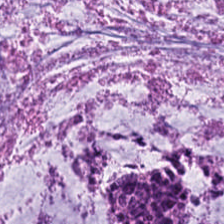H&E-stained tissue section. Showing extracellular mucin.
